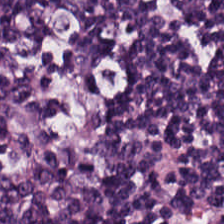224×224 px tile. Brightfield microscopy. Hematoxylin and eosin — The tissue here is lymphocytic infiltrate.
